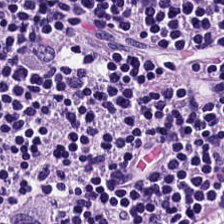H&E — lymphocytic infiltrate.
